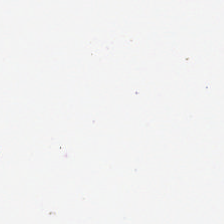224×224 pixel tile; hematoxylin-and-eosin stained section; 20× equivalent magnification.
{"content": "background (no tissue)"}
